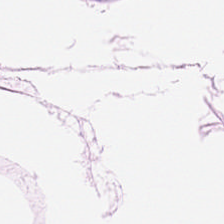Stain: hematoxylin-and-eosin stained section.
Preparation: FFPE tissue section.
Classification: fat tissue.
